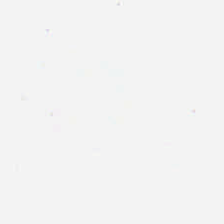WSI patch; hematoxylin-and-eosin stained section.
Content: background.
